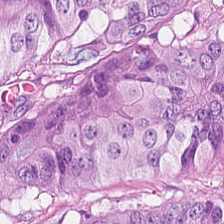{"tissue_type": "colorectal adenocarcinoma"}
